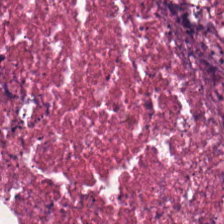H&E-stained tissue section. WSI patch.
The tissue here is debris.
